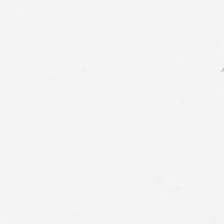Hematoxylin and eosin.
Field content = background.
